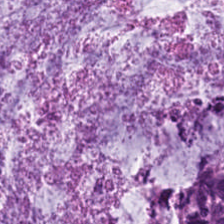Impression — extracellular mucin.
